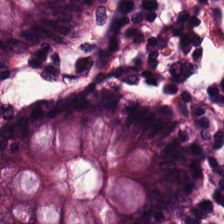Whole-slide-image patch; H&E; 0.5 microns per pixel. Q: What is shown here?
A: The field shows normal colon mucosa.
